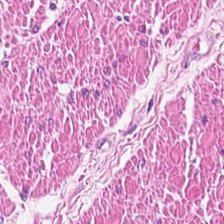Predominantly muscularis.
